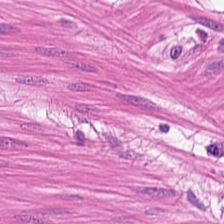224×224 px patch. Hematoxylin-and-eosin stained section. Finding → smooth-muscle tissue.
